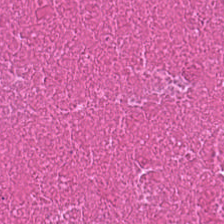WSI patch · 20× equivalent magnification · H&E. This patch shows necrotic debris.
